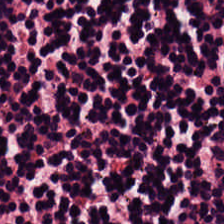Hematoxylin and eosin — Q: What is shown here?
A: This is lymphocytic infiltrate.
